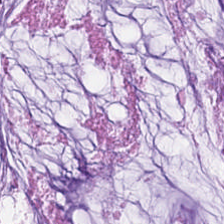H&E-stained tissue section.
Q: Classify this patch.
A: The field shows extracellular mucin.
